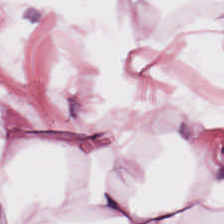Stain: H&E stain.
Tissue type: adipocytes.
